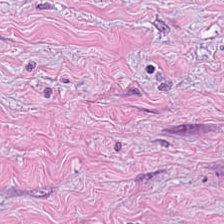Hematoxylin-and-eosin stained section.
Q: What is shown here?
A: The field shows tumor stroma.
